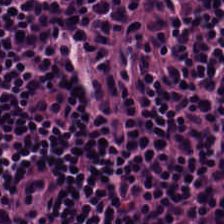H&E-stained tissue section. 0.5 microns per pixel. Impression → lymphocytic infiltrate.
